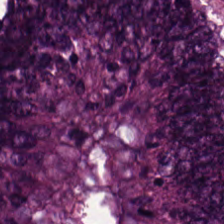Hematoxylin-and-eosin stained section.
Tissue type — malignant epithelium.
